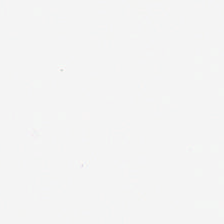H&E-stained tissue section.
Background.
